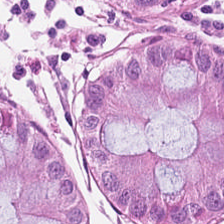Stain: H&E-stained tissue section.
Predominant tissue: benign colonic mucosa.
